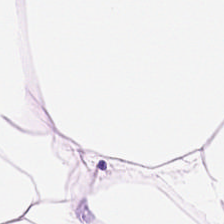Hematoxylin-and-eosin stained section — Tissue class: fat tissue.
